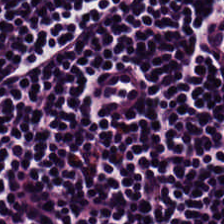H&E. Finding → lymphocyte aggregate.
